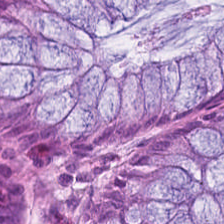The classification is normal colonic mucosa.
